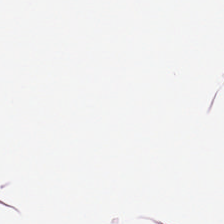0.5 µm/px · formalin-fixed paraffin-embedded section · H&E.
Tissue type — adipose tissue.
